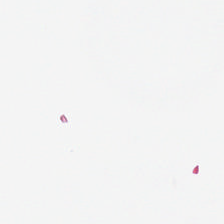Hematoxylin-and-eosin stained section — Empty field — empty background.
